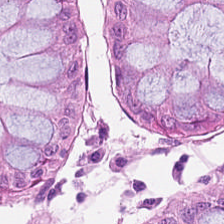Finding — normal colon mucosa.
